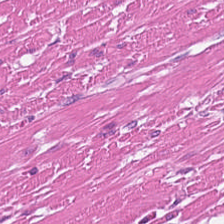H&E-stained tissue section; 0.5 microns per pixel. Impression — smooth muscle.
